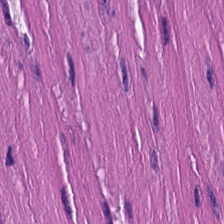This patch shows smooth muscle.
